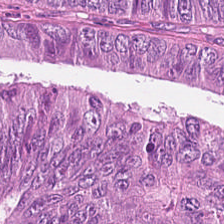Predominantly malignant epithelium.
